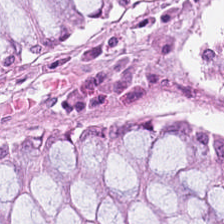FFPE; hematoxylin-and-eosin stained section; brightfield.
Tissue class: normal colon mucosa.
